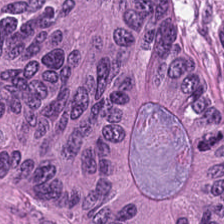Hematoxylin and eosin. Finding — adenocarcinoma.
